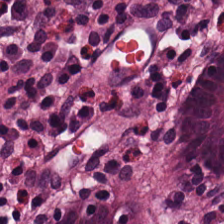Stain: H&E.
Classification: normal colon mucosa.
